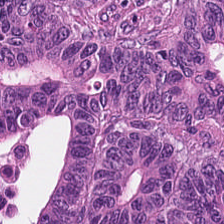H&E-stained tissue section showing tumor epithelium.
